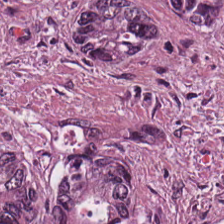Hematoxylin-and-eosin section: adenocarcinoma.
